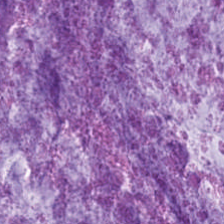Hematoxylin and eosin — The predominant tissue is extracellular mucin.
